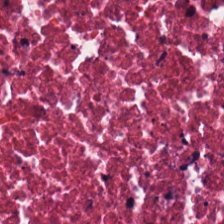Stain: H&E-stained tissue section.
Tissue type: debris.
